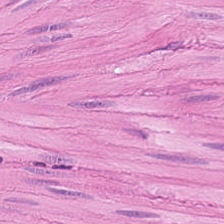H&E stain.
Smooth-muscle tissue.
